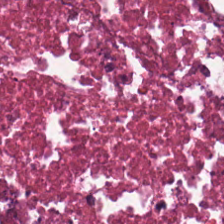Brightfield microscopy · hematoxylin-and-eosin stained section · formalin-fixed paraffin-embedded section.
Impression → debris.
